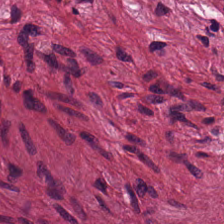H&E stain. Histology — cancer-associated stroma.
